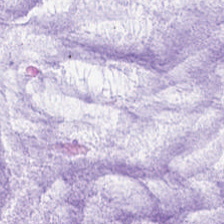H&E. Predominant tissue = extracellular mucin.
